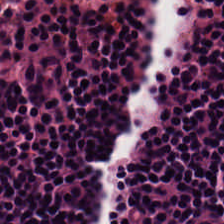H&E stain — This patch shows lymphoid infiltrate.
